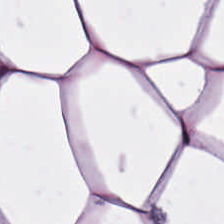H&E-stained tissue section. Adipocytes.
